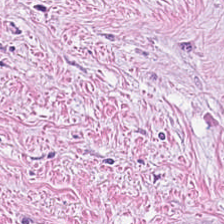224×224 px patch. FFPE. H&E. The tissue is desmoplastic stroma.
